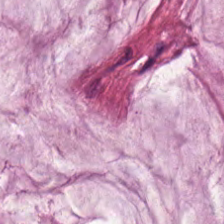Hematoxylin-and-eosin stained section; 224×224 px tile. Impression — extracellular mucin.
